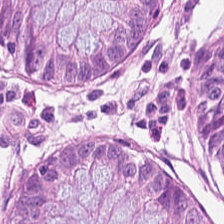Predominant tissue — normal colon mucosa.
